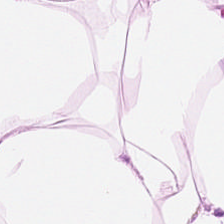Stain: H&E stain.
Tissue: fat tissue.
